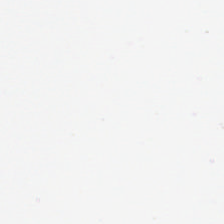H&E stain.
Impression → no tissue.
